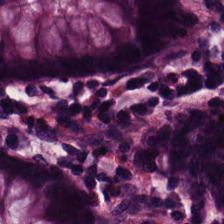Predominant tissue = non-neoplastic colon mucosa.
